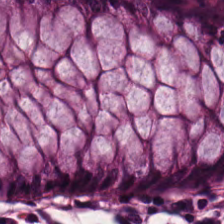H&E stain. This field is normal colonic mucosa.
